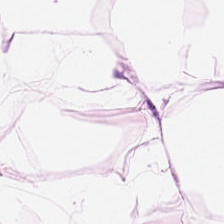Whole-slide-image patch; 0.5 µm per pixel; H&E-stained tissue section.
Q: What tissue type is shown here?
A: This is adipose tissue.
